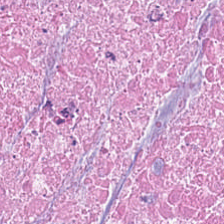H&E-stained tissue section. Formalin-fixed paraffin-embedded section.
Tissue class: necrotic debris.
